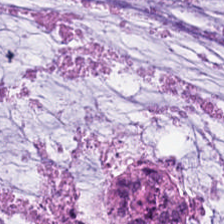224×224 px tile; hematoxylin and eosin. This field is mucin.
